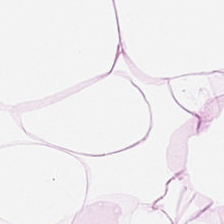Hematoxylin and eosin; 0.5 microns per pixel.
Tissue type = adipose tissue.
